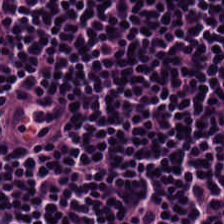Hematoxylin and eosin — The tissue type is lymphocyte aggregate.
